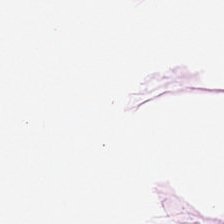The tissue type is adipose tissue.
